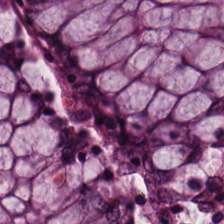H&E-stained tissue section. {"tissue_type": "benign colonic mucosa"}
